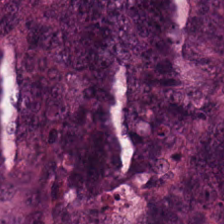Brightfield microscopy · H&E. Showing colorectal adenocarcinoma epithelium.
